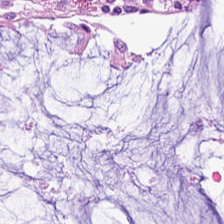H&E — Tissue class: benign colonic mucosa.
